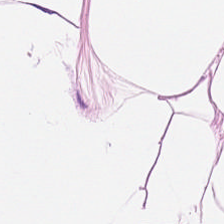This patch shows adipose tissue.
